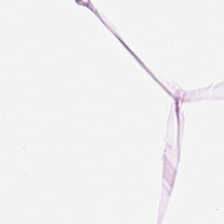Predominant tissue = fat tissue.
